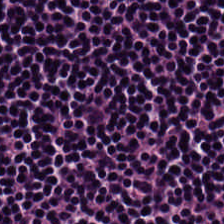H&E-stained tissue section; 0.5 µm/px. The tissue type is lymphocyte aggregate.
